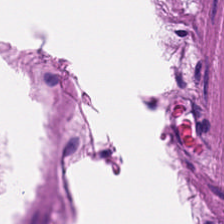H&E stain — Q: What tissue is shown?
A: Smooth muscle.
